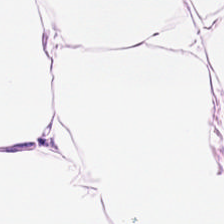H&E stain; WSI patch; 0.5 µm per pixel.
Showing fat tissue.
